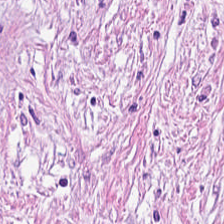H&E stain. {"tissue_type": "tumor-associated stroma"}
